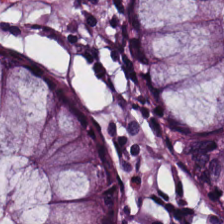H&E. Formalin-fixed paraffin-embedded section. 224×224 px tile.
Benign colonic mucosa.
